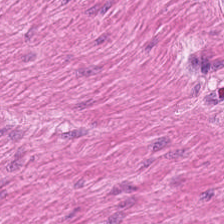Q: Classify this patch.
A: It is smooth-muscle tissue.
